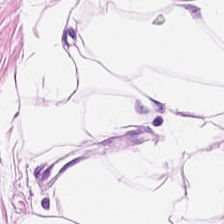Hematoxylin and eosin.
This patch shows adipose.
